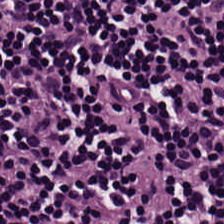The tissue here is lymphoid infiltrate.
